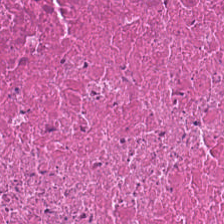The predominant tissue is debris.
